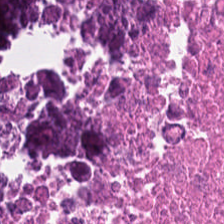Stain: hematoxylin-and-eosin stained section.
Acquisition: brightfield microscopy.
Tile size: 224×224 px tile.
Tissue type: cellular debris.
